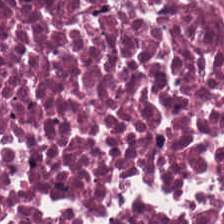H&E stain. Impression — debris.
